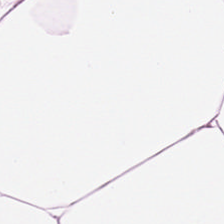H&E patch showing adipose tissue.
